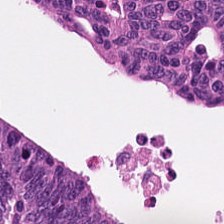H&E. This patch shows adenocarcinoma.
